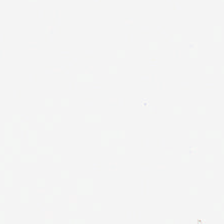This field is background (no tissue).
